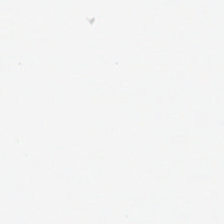H&E · 224×224 px patch. Background (no tissue).
